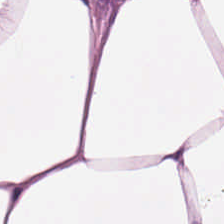Stain: hematoxylin-and-eosin stained section.
Resolution: 0.5 microns per pixel.
Tissue: adipocytes.
